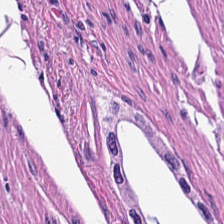Hematoxylin-and-eosin stained section — Predominantly smooth-muscle tissue.
